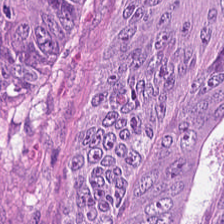WSI patch; H&E stain — Showing adenocarcinoma.
